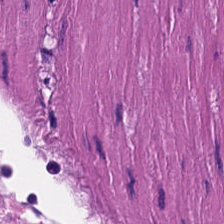Histology — smooth-muscle tissue.
